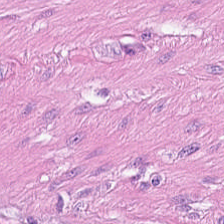224×224 px patch. H&E stain. Finding — smooth-muscle tissue.
